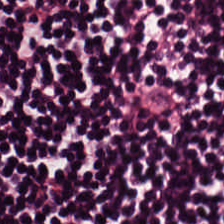H&E stain · 0.5 microns per pixel · 224×224 px tile. Classification = lymphoid infiltrate.
